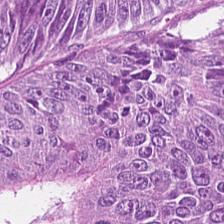Whole-slide-image patch; hematoxylin-and-eosin stained section.
Tissue class: colorectal adenocarcinoma.
